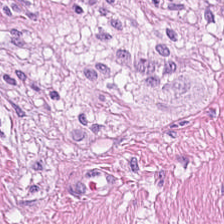224×224 pixel tile. WSI patch. H&E stain.
Predominantly smooth-muscle tissue.
